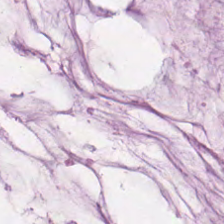H&E stain — Q: What is the predominant tissue type?
A: This is extracellular mucin.
